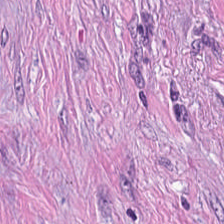Stain: H&E-stained tissue section.
Predominant tissue: desmoplastic stroma.
